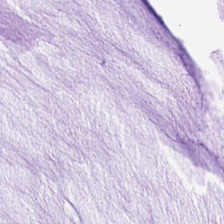Hematoxylin-and-eosin stained section — Tissue — extracellular mucin.
